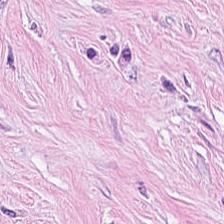H&E; 20× equivalent magnification; 224×224 pixel tile — The tissue here is tumor stroma.
